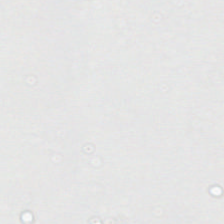H&E-stained tissue section · 0.5 microns per pixel — Finding — background (no tissue).
